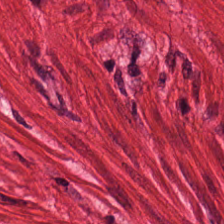The tissue type is smooth muscle.
